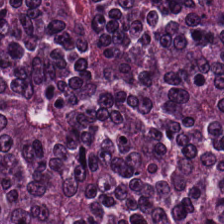224×224 px patch · H&E-stained tissue section.
Histology — tumor epithelium.
